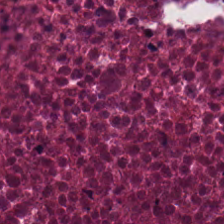0.5 µm per pixel; H&E. The tissue here is debris.
